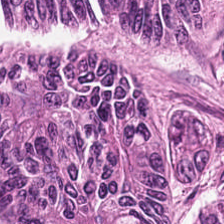Classification — malignant epithelium.
